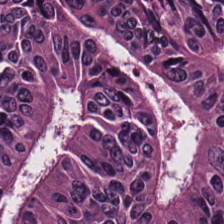H&E stain.
Predominant tissue = colorectal adenocarcinoma epithelium.
